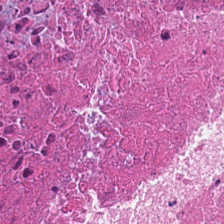Hematoxylin-and-eosin section: debris.
